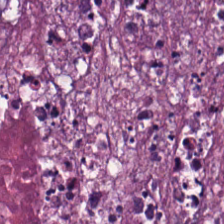FFPE. H&E-stained tissue section. {"tissue_type": "cellular debris"}
